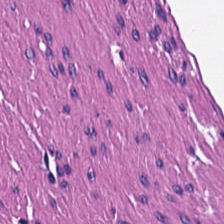Brightfield microscopy · hematoxylin and eosin.
Predominantly muscularis.
